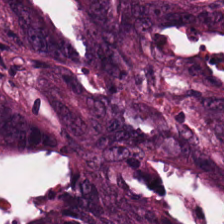H&E stain.
The predominant tissue is malignant epithelium.
